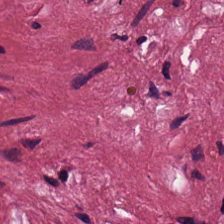Formalin-fixed paraffin-embedded section · hematoxylin and eosin.
Tissue: desmoplastic stroma.
